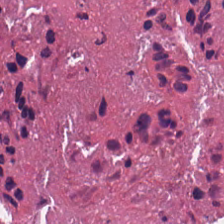224×224 px patch; hematoxylin and eosin; formalin-fixed paraffin-embedded section. The tissue here is debris.
